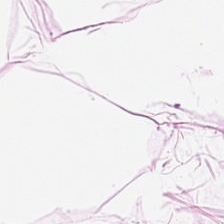Hematoxylin and eosin. Q: What tissue is shown?
A: It is adipocytes.
